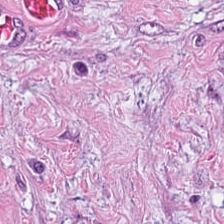H&E-stained tissue section — Q: What does this patch show?
A: Cancer-associated stroma.
